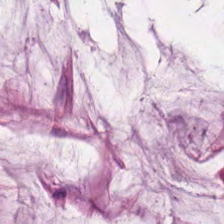Hematoxylin-and-eosin stained section; brightfield; 20× equivalent magnification — Predominantly mucin.
